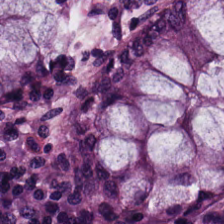Hematoxylin and eosin. Showing normal colon mucosa.
